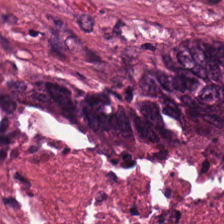H&E stain. Q: What is the predominant tissue type?
A: It is necrotic debris.
